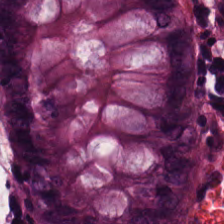Q: What tissue is shown?
A: It is normal colon mucosa.
